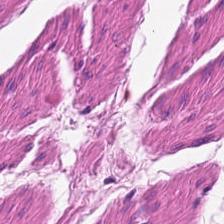Stain: H&E.
Classification: smooth-muscle tissue.
